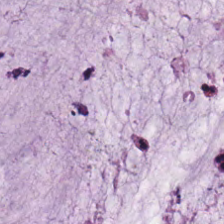Hematoxylin-and-eosin stained section.
Finding → extracellular mucin.
